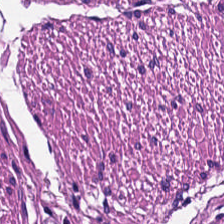Brightfield microscopy · H&E — This patch shows smooth muscle.
